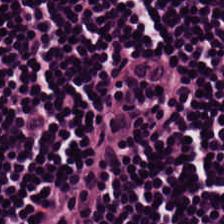Q: What is the predominant tissue type?
A: It is lymphocytes.
